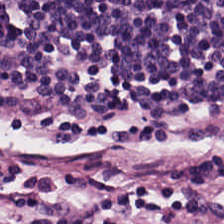Hematoxylin-and-eosin stained section.
Tissue — lymphoid infiltrate.
